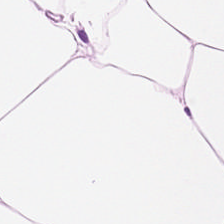224×224 pixel tile · 0.5 microns per pixel · hematoxylin and eosin — Adipose.
